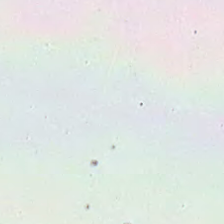Hematoxylin and eosin; 224×224 pixel tile; 20× equivalent magnification.
Field content: background (no tissue).
